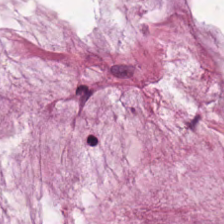0.5 µm/px; FFPE; H&E stain.
{"tissue_type": "mucus"}
